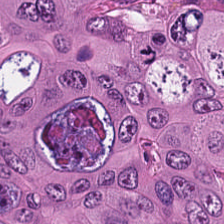Hematoxylin-and-eosin stained section. Classification = malignant epithelium.
